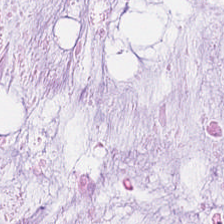FFPE · H&E-stained tissue section. Impression — mucus.
